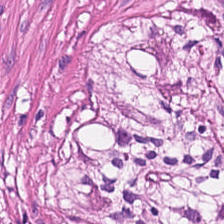Q: What does this patch show?
A: It is smooth-muscle tissue.
